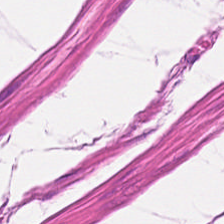H&E stain. The tissue is muscularis.
